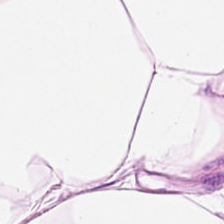Brightfield microscopy. Hematoxylin and eosin.
Predominant tissue: adipose tissue.
